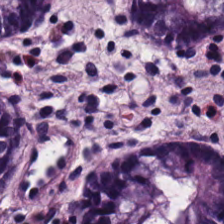{"tissue_type": "benign colonic mucosa"}
